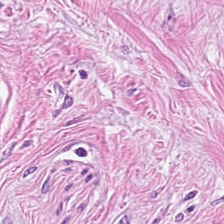Hematoxylin and eosin. Tissue = cancer-associated stroma.
